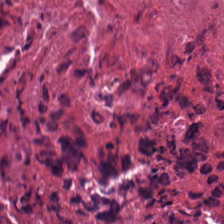224×224 pixel tile; FFPE tissue section; hematoxylin-and-eosin stained section.
The predominant tissue is necrotic debris.
